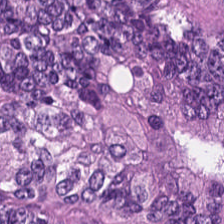0.5 µm per pixel; H&E-stained tissue section. Malignant epithelium.
